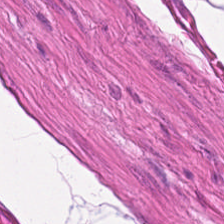H&E.
{"tissue_type": "smooth-muscle tissue"}
